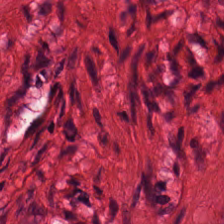Whole-slide-image patch. H&E stain.
The tissue type is smooth-muscle tissue.
